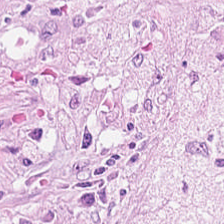H&E patch showing tumor-associated stroma.
